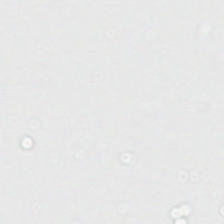Empty field — empty background.
